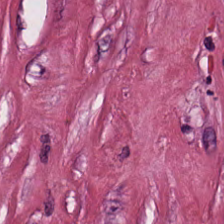H&E — desmoplastic stroma.
